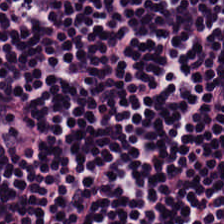H&E.
Tissue = lymphoid infiltrate.
